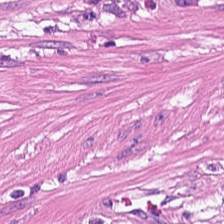Hematoxylin-and-eosin stained section. Classification — smooth-muscle tissue.
